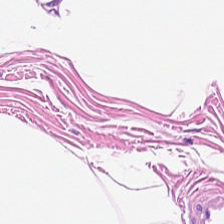Histology — adipose tissue.
